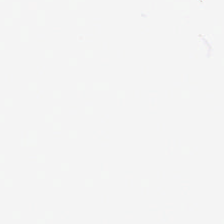Hematoxylin and eosin. 0.5 µm/px. Brightfield microscopy.
No tissue.
